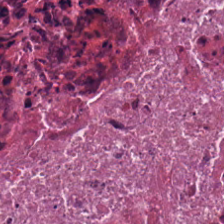H&E-stained tissue section. Q: What tissue type is shown here?
A: The field shows debris.
